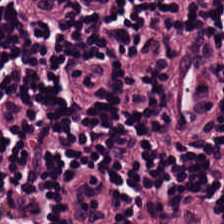Stain: hematoxylin-and-eosin stained section.
Tile size: 224×224 px tile.
Tissue: lymphocytes.
